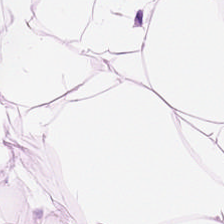{"tissue_type": "adipocytes"}
